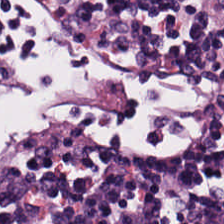H&E stain. Predominantly lymphoid infiltrate.
